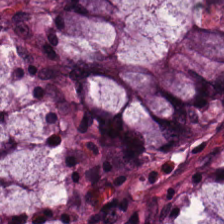Stain: H&E stain.
Classification: benign colonic mucosa.
